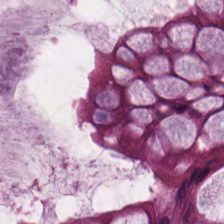0.5 microns per pixel · brightfield · hematoxylin-and-eosin stained section. This patch shows non-neoplastic colon mucosa.
